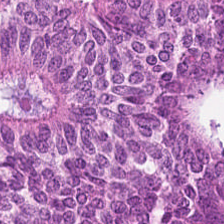Stain: H&E.
Tile size: 224×224 px tile.
Predominant tissue: colorectal adenocarcinoma epithelium.
